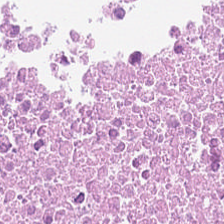Stain: H&E-stained tissue section.
Preparation: formalin-fixed paraffin-embedded section.
Tissue: cellular debris.
